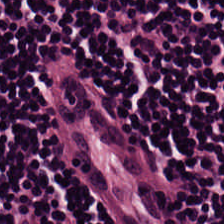Histology — lymphoid infiltrate.
